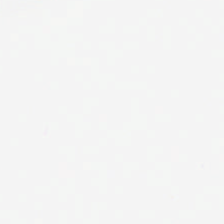Hematoxylin-and-eosin stained section. Classification — background (no tissue).
